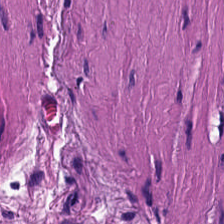Hematoxylin and eosin; 0.5 µm per pixel — The predominant tissue is muscularis.
